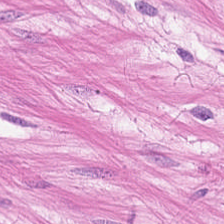H&E; FFPE.
The predominant tissue is muscularis.
